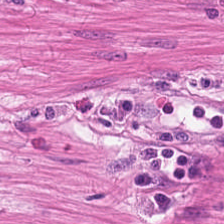Stain: H&E.
Preparation: FFPE.
Resolution: 0.5 microns per pixel.
Tissue: smooth-muscle tissue.
